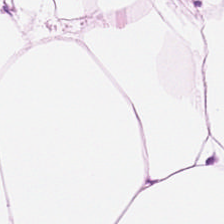{"tissue_type": "adipose tissue"}
